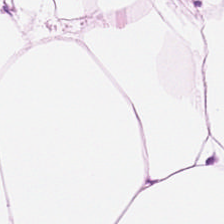{"tissue_type": "adipose tissue"}
